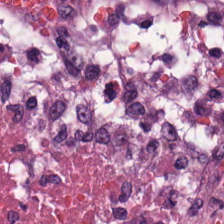H&E-stained tissue section — Predominantly necrotic debris.
